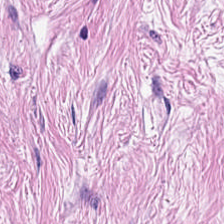H&E · 0.5 µm per pixel. The predominant tissue is tumor-associated stroma.
